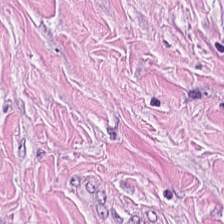Stain: H&E stain.
Predominant tissue: tumor stroma.
